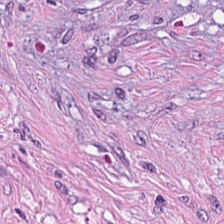H&E stain. The classification is cancer-associated stroma.
